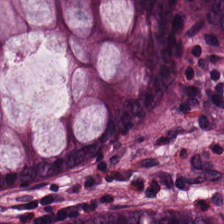Stain: H&E-stained tissue section.
Preparation: FFPE.
Acquisition: brightfield.
Predominant tissue: normal colonic mucosa.
